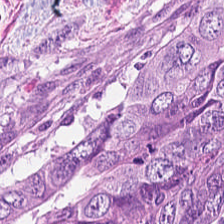H&E; brightfield.
Tissue = colorectal adenocarcinoma.
